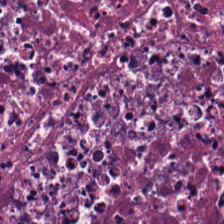Hematoxylin and eosin. Q: What is shown in this field?
A: Debris.
